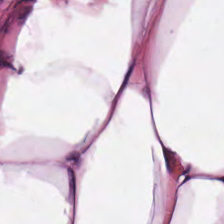Showing adipose tissue.
